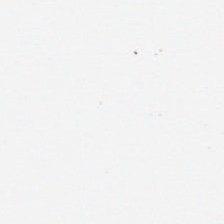H&E stain. The content is background.
